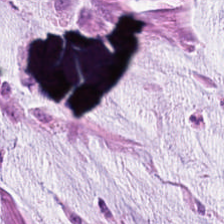H&E stain.
The tissue here is mucus.
